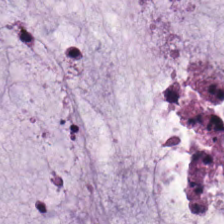0.5 microns per pixel. H&E. Histology → mucus.
